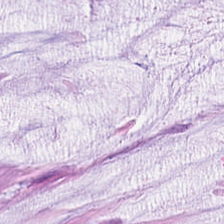H&E-stained tissue section.
Q: What is shown here?
A: The field shows mucus.
